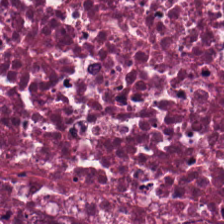Brightfield · 224×224 px tile · hematoxylin and eosin.
Q: What type of tissue is this?
A: The field shows necrotic debris.
